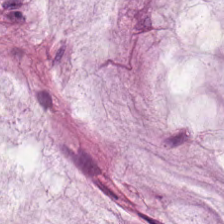H&E-stained tissue section. 0.5 microns per pixel. Classification: extracellular mucin.
